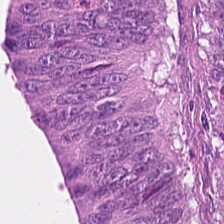224×224 pixel tile. H&E stain — This patch shows colorectal adenocarcinoma.
